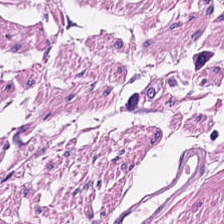H&E. Showing muscularis.
